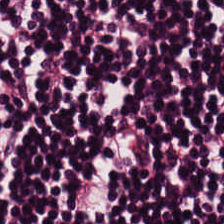WSI patch. Hematoxylin and eosin. The predominant tissue is lymphoid infiltrate.
